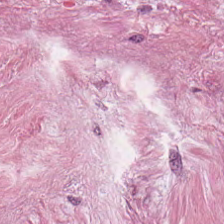224×224 px patch; H&E-stained tissue section; 0.5 µm per pixel.
This field is cancer-associated stroma.
